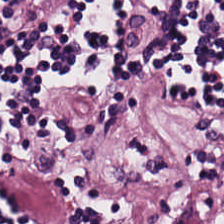Hematoxylin and eosin. FFPE tissue section. The classification is lymphocyte aggregate.
